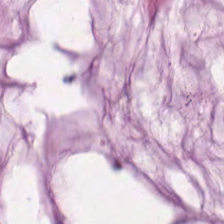Hematoxylin-and-eosin stained section.
Extracellular mucin.
